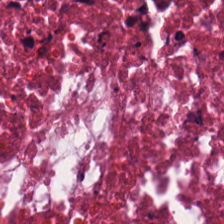Q: Classify this patch.
A: This is cellular debris.
